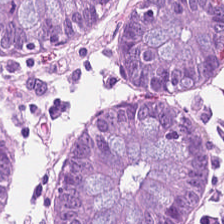Hematoxylin and eosin.
Finding → benign colonic mucosa.
